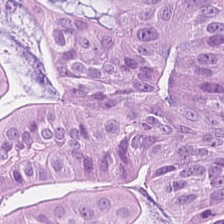H&E.
The predominant tissue is colorectal adenocarcinoma epithelium.
